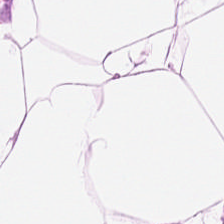H&E stain; 20× equivalent magnification.
This field is adipose tissue.
